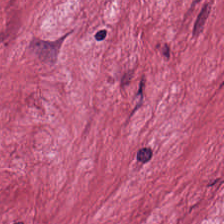Formalin-fixed paraffin-embedded section. Hematoxylin-and-eosin stained section.
The predominant tissue is cancer-associated stroma.
